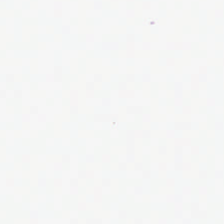H&E stain — Empty field — no tissue.
